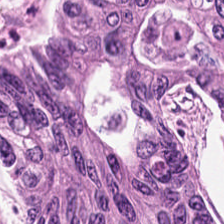Q: Identify the tissue.
A: This is malignant epithelium.
